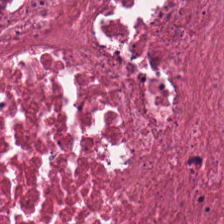Hematoxylin and eosin; 20× equivalent magnification; whole-slide-image patch — Impression — cellular debris.
